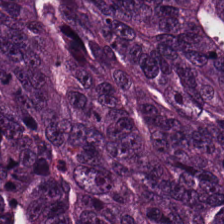H&E stain — Q: What is the predominant tissue type?
A: This is adenocarcinoma.
